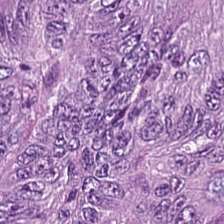H&E.
Q: Classify this patch.
A: It is colorectal adenocarcinoma.
